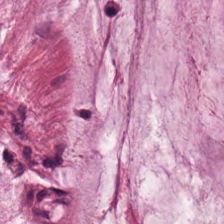H&E stain.
The tissue here is mucus.
